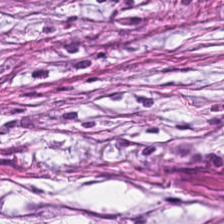H&E-stained tissue section showing tumor stroma.
